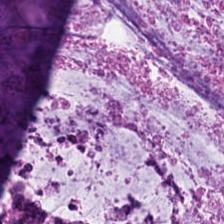H&E stain.
Q: What tissue is shown?
A: It is mucus.
